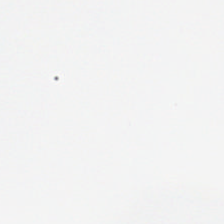Hematoxylin and eosin — Classification: background (no tissue).
